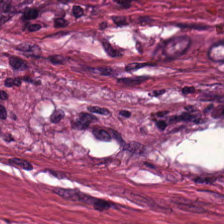H&E stain — Tissue type — cancer-associated stroma.
